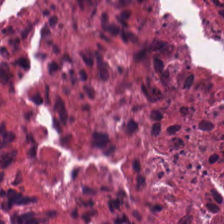Hematoxylin and eosin — Q: What tissue is shown?
A: Cellular debris.
